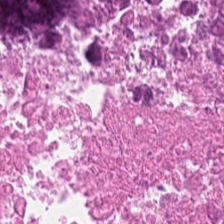Hematoxylin-and-eosin stained section. The tissue class is cellular debris.
